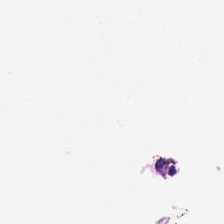H&E; whole-slide-image patch. Classification: no tissue.
